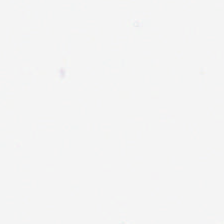224×224 px patch. H&E stain. 20× equivalent magnification. Content: empty background.
